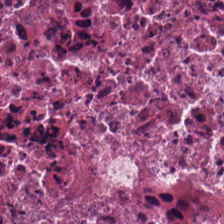H&E.
Tissue type = cellular debris.
